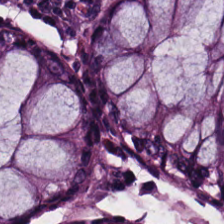H&E — Finding — normal colonic mucosa.
